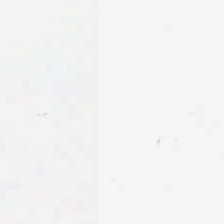Hematoxylin-and-eosin stained section · 0.5 microns per pixel · 224×224 px tile. Q: What is shown here?
A: The field shows empty background.
